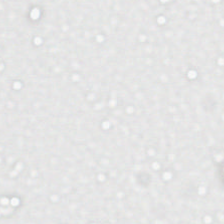Hematoxylin and eosin. Q: What is shown here?
A: This is no tissue.
